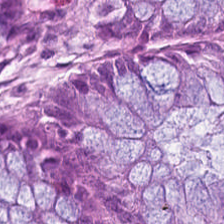Stain: hematoxylin-and-eosin stained section.
Classification: normal colon mucosa.
